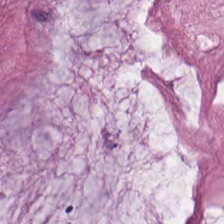This patch shows mucus.
